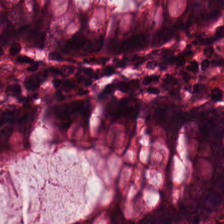Brightfield microscopy. H&E stain. This patch shows non-neoplastic colon mucosa.
